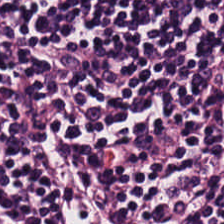H&E.
Q: What tissue is shown?
A: Lymphocytic infiltrate.
